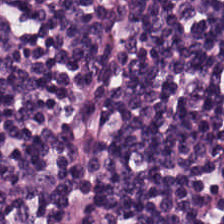Lymphocyte aggregate.
